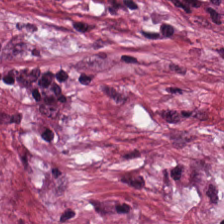Tissue type: desmoplastic stroma.
